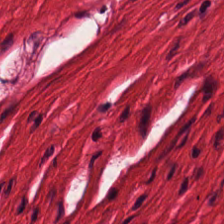This patch shows smooth-muscle tissue.
